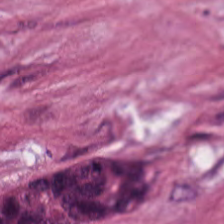224×224 px tile · H&E.
Q: What is shown in this field?
A: It is tumor-associated stroma.
